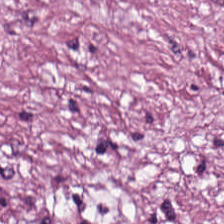Hematoxylin and eosin. Histology — desmoplastic stroma.
